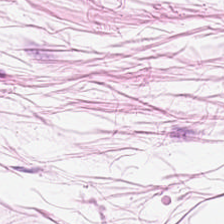FFPE · 224×224 px tile · H&E-stained tissue section. {"tissue_type": "adipose"}
